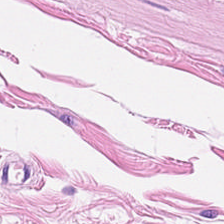Hematoxylin and eosin. Q: Identify the tissue.
A: Smooth-muscle tissue.
